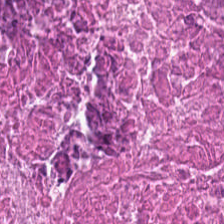H&E-stained tissue section — Predominant tissue = debris.
